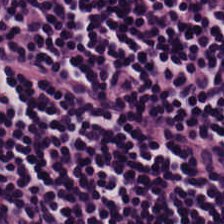Hematoxylin-and-eosin stained section · 224×224 pixel tile · 20× equivalent magnification.
Lymphocytes.
